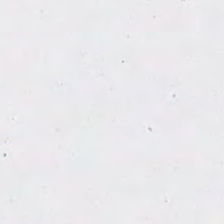Q: Classify this patch.
A: The field shows empty background.
